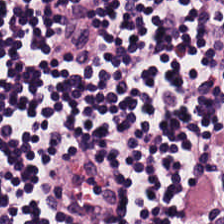H&E-stained tissue section · 224×224 px tile · 0.5 µm per pixel. The predominant tissue is lymphocyte aggregate.
